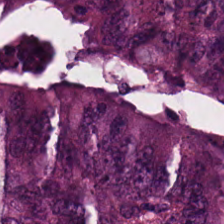0.5 µm per pixel · WSI patch · hematoxylin and eosin.
Q: Classify this patch.
A: Tumor epithelium.
